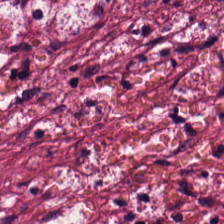0.5 µm per pixel; H&E; FFPE tissue section.
The tissue here is tumor-associated stroma.
